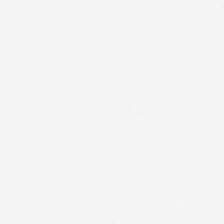H&E stain; 0.5 µm per pixel. The classification is background.
